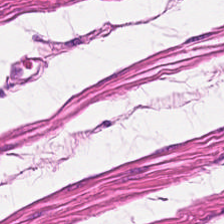H&E — Showing smooth-muscle tissue.
